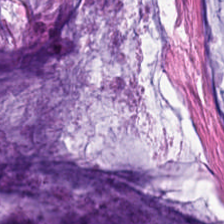Tissue = extracellular mucin.
